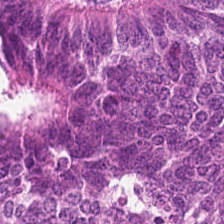Hematoxylin-and-eosin stained section — Predominantly colorectal adenocarcinoma epithelium.
